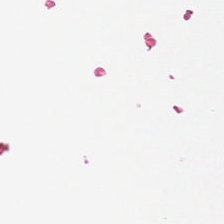Formalin-fixed paraffin-embedded section · H&E · 0.5 microns per pixel. Q: Classify this patch.
A: This is no tissue.
